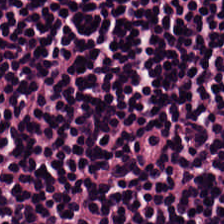H&E-stained tissue section; 224×224 pixel tile; 20× equivalent magnification.
Showing lymphocytic infiltrate.
